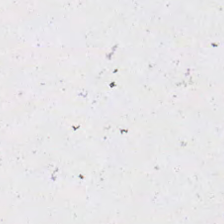Hematoxylin-and-eosin stained section; 0.5 µm/px. Content = no tissue.
